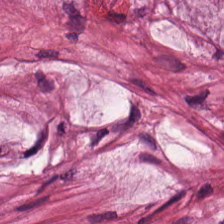Hematoxylin and eosin. FFPE tissue section. Q: What does this patch show?
A: Extracellular mucin.
